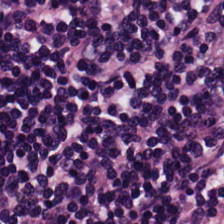Stain: H&E-stained tissue section.
Classification: lymphocyte aggregate.
